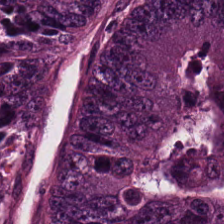0.5 µm per pixel; hematoxylin and eosin.
Tissue type — colorectal adenocarcinoma epithelium.
